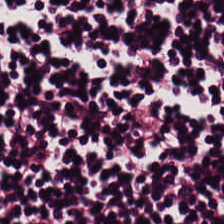Formalin-fixed paraffin-embedded section. H&E-stained tissue section. 0.5 µm/px.
Showing lymphoid infiltrate.
